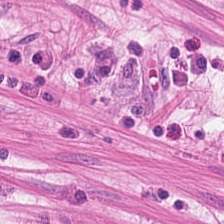This patch shows smooth muscle.
